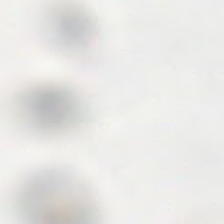H&E stain. Empty field — background.
